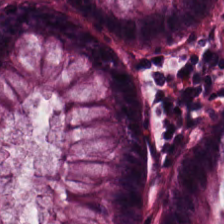Hematoxylin-and-eosin section: normal colonic mucosa.
